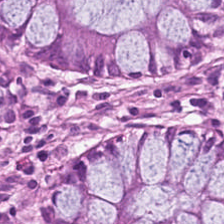Hematoxylin-and-eosin stained section. Impression — normal colonic mucosa.
